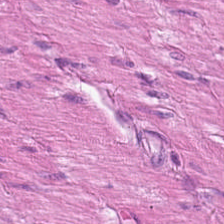H&E stain · FFPE tissue section · 0.5 microns per pixel.
Histology → muscularis.
